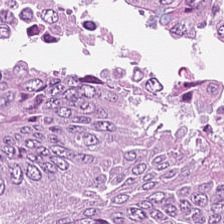H&E-stained tissue section. 224×224 pixel tile. 0.5 µm/px — Tissue type: malignant epithelium.
